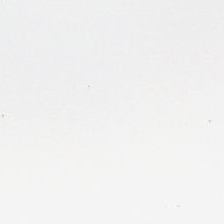H&E-stained tissue section.
Background — no tissue in this field.
